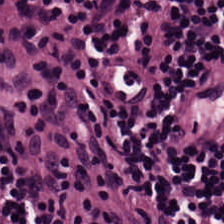Brightfield microscopy. FFPE. H&E-stained tissue section.
Q: What is the predominant tissue type?
A: This is lymphocyte aggregate.
